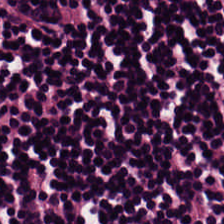Brightfield; H&E-stained tissue section. Tissue — lymphocyte aggregate.
